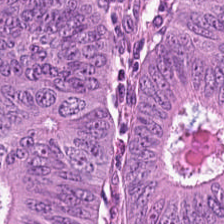Q: Identify the tissue.
A: Adenocarcinoma.
